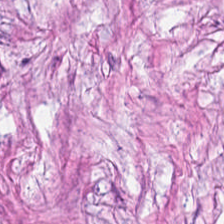Tissue type: cancer-associated stroma.
